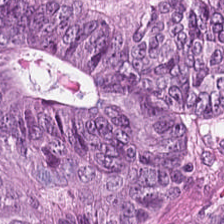H&E-stained tissue section. Showing tumor epithelium.
